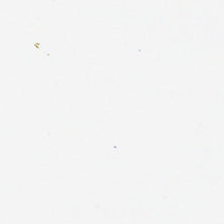H&E stain. Empty field — background (no tissue).
